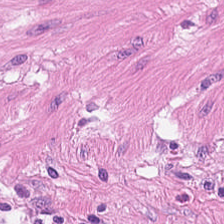Tissue: smooth muscle.
